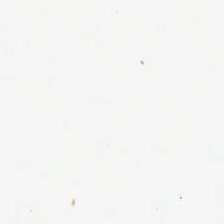Hematoxylin-and-eosin stained section. No tissue.
